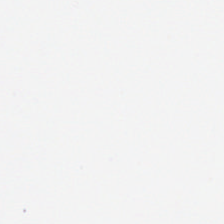Stain: H&E.
Preparation: FFPE tissue section.
Classification: empty background.
